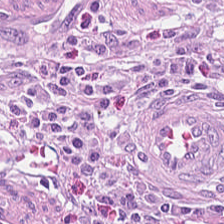H&E stain · 0.5 microns per pixel. Tissue class: desmoplastic stroma.
